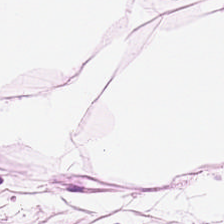Brightfield. Hematoxylin-and-eosin stained section — Predominant tissue = fat tissue.
